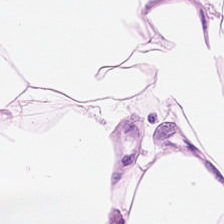Stain: H&E stain.
Preparation: FFPE tissue section.
Classification: adipocytes.
